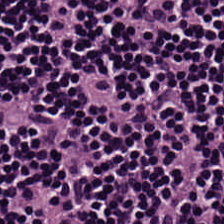Whole-slide-image patch · H&E-stained tissue section · 0.5 µm per pixel. Q: What tissue is shown?
A: The field shows lymphocyte aggregate.
